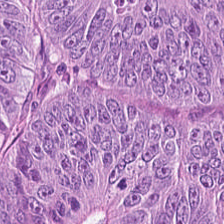Classification — colorectal adenocarcinoma.
